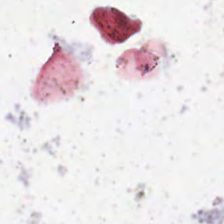Field content — empty background.
